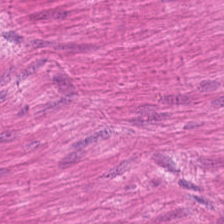H&E. Tissue type — smooth muscle.
